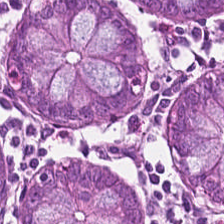224×224 pixel tile · H&E stain. Tissue type = normal colonic mucosa.
